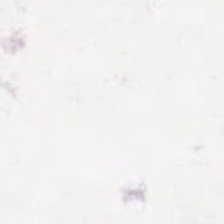H&E.
No tissue present; background only.
